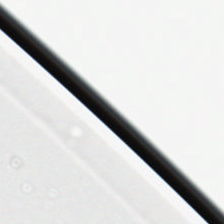This field is background (no tissue).
